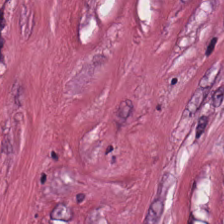H&E-stained tissue section. Classification — tumor-associated stroma.
